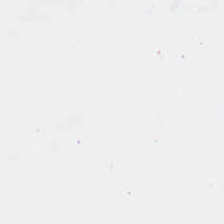Hematoxylin and eosin. Q: What is shown in this field?
A: It is background.
